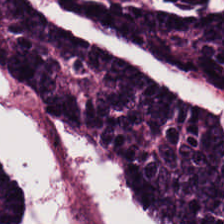0.5 µm/px. Hematoxylin and eosin. Tissue = malignant epithelium.
